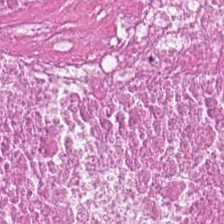Stain: hematoxylin-and-eosin stained section.
Acquisition: brightfield microscopy.
Resolution: 0.5 microns per pixel.
Tissue type: necrotic debris.
